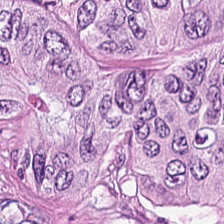Stain: H&E-stained tissue section.
Tile size: 224×224 px tile.
Predominant tissue: malignant epithelium.
